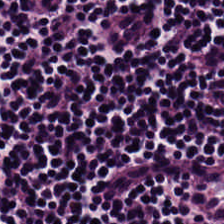Hematoxylin and eosin. FFPE tissue section. Whole-slide-image patch — Finding → lymphocytic infiltrate.
